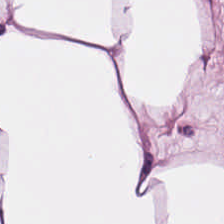Hematoxylin and eosin.
The classification is fat tissue.
